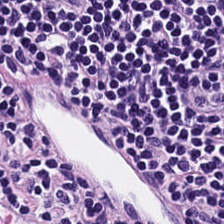H&E — Predominantly lymphocytes.
